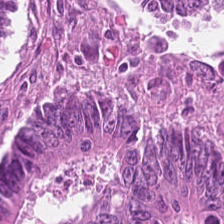H&E-stained tissue section showing adenocarcinoma.
